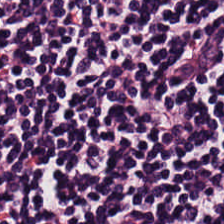H&E · 224×224 px patch. The tissue here is lymphoid infiltrate.
